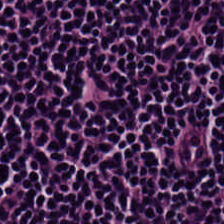Tissue type: lymphocytes.
